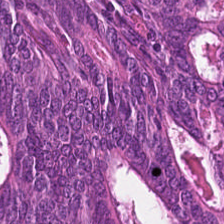The predominant tissue is colorectal adenocarcinoma.
